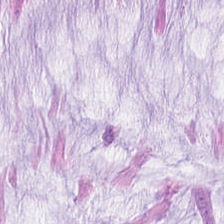Hematoxylin and eosin. Q: Identify the tissue.
A: Mucin.
